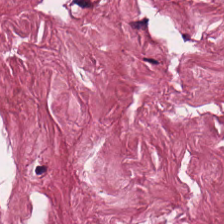0.5 µm/px; H&E stain.
The tissue here is cancer-associated stroma.
